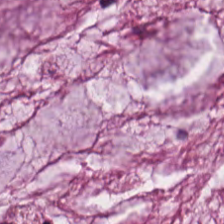H&E. FFPE tissue section. 20× equivalent magnification — Q: Identify the tissue.
A: It is mucin.
